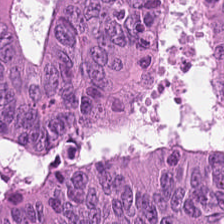H&E patch showing malignant epithelium.
